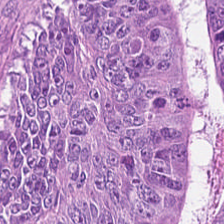H&E-stained tissue section; 0.5 µm/px. Tissue type: colorectal adenocarcinoma.
